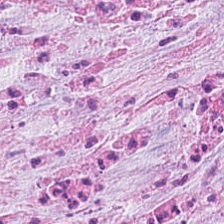Tissue class = tumor-associated stroma.
